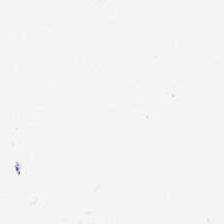Field content = background.
